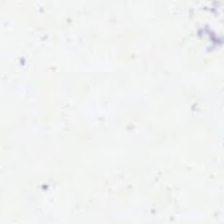0.5 µm per pixel · H&E — Background — no tissue in this field.
